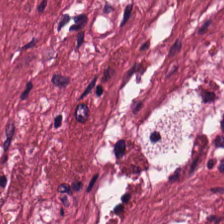H&E-stained tissue section — Impression → tumor-associated stroma.
